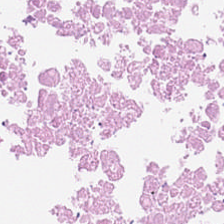The classification is debris.
